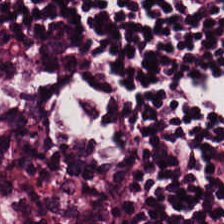FFPE · hematoxylin-and-eosin stained section.
Lymphocyte aggregate.
